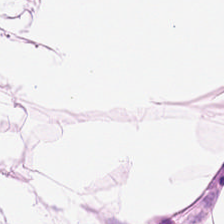Hematoxylin-and-eosin stained section. This field is adipose.
